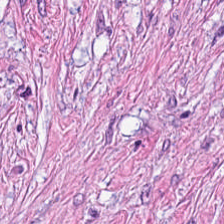Showing desmoplastic stroma.
